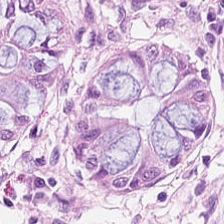Hematoxylin and eosin.
The tissue type is normal colonic mucosa.
